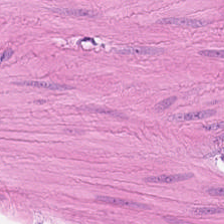Hematoxylin-and-eosin stained section. 224×224 pixel tile — The tissue type is smooth-muscle tissue.
